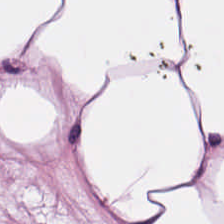Stain: hematoxylin and eosin.
Predominant tissue: fat tissue.
